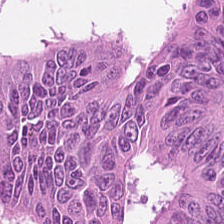H&E patch showing adenocarcinoma.
